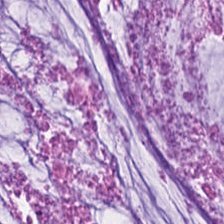Brightfield microscopy; FFPE; H&E-stained tissue section. This field is extracellular mucin.
